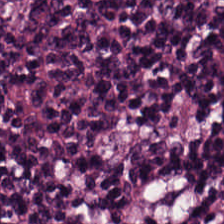Hematoxylin and eosin. {"tissue_type": "lymphocyte aggregate"}
